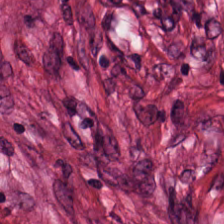H&E-stained tissue section.
Classification — desmoplastic stroma.
